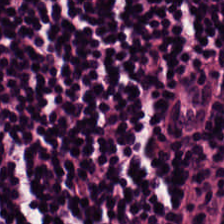Lymphocyte aggregate.
